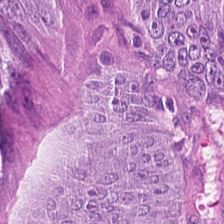224×224 px tile · H&E-stained tissue section.
The tissue here is tumor epithelium.
